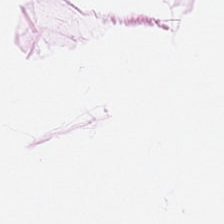Hematoxylin-and-eosin stained section — Adipose tissue.
